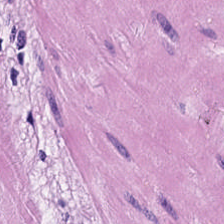Hematoxylin and eosin. Showing smooth muscle.
